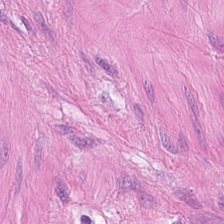Brightfield microscopy · 224×224 px patch · H&E stain. The classification is smooth muscle.
